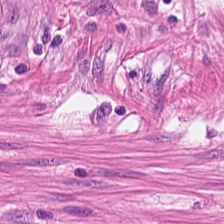Q: What is the predominant tissue type?
A: The field shows smooth-muscle tissue.
